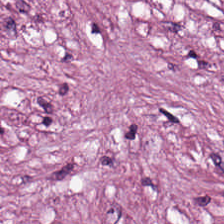Whole-slide-image patch; H&E stain. Desmoplastic stroma.
